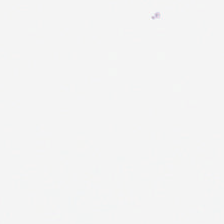H&E stain · formalin-fixed paraffin-embedded section — This patch shows background.
